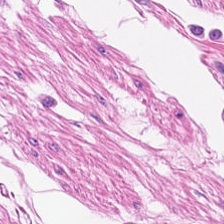Hematoxylin-and-eosin stained section; 224×224 pixel tile. The predominant tissue is smooth muscle.
